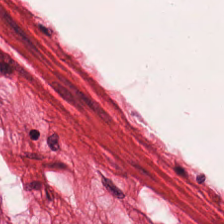Tissue type: smooth muscle.
